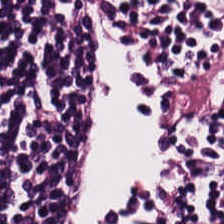H&E stain.
{"tissue_type": "lymphocytes"}
